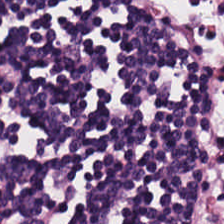The tissue type is lymphoid infiltrate.
